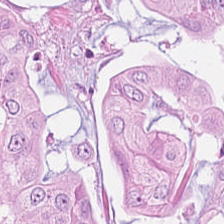Classification — colorectal adenocarcinoma.
